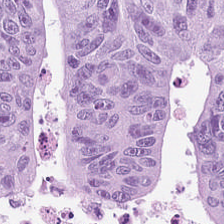Hematoxylin and eosin · FFPE — Histology — tumor epithelium.
